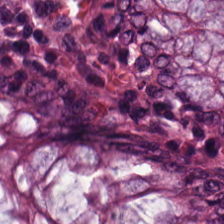0.5 microns per pixel · 224×224 px tile · H&E-stained tissue section — Q: What is shown here?
A: Benign colonic mucosa.
